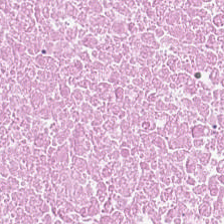Stain: hematoxylin-and-eosin stained section.
Tile size: 224×224 px tile.
Acquisition: whole-slide-image patch.
Tissue: cellular debris.
